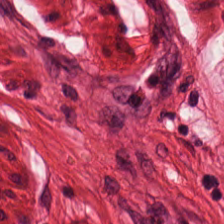H&E — Tissue — smooth muscle.
